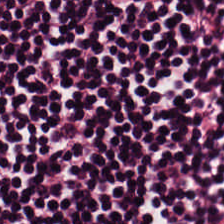Hematoxylin-and-eosin stained section; 0.5 microns per pixel. This field is lymphocytes.
